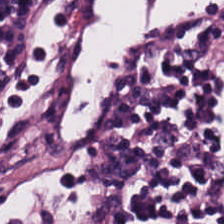Predominant tissue = lymphocytic infiltrate.
